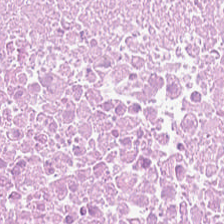Q: Classify this patch.
A: Necrotic debris.
